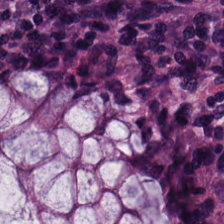H&E-stained tissue section. The tissue here is normal colonic mucosa.
